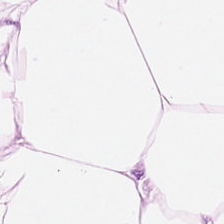Formalin-fixed paraffin-embedded section · H&E-stained tissue section.
Predominantly adipocytes.
